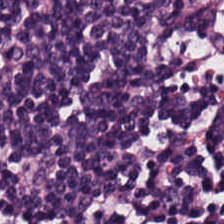Hematoxylin and eosin; 224×224 pixel tile. The predominant tissue is lymphocyte aggregate.
